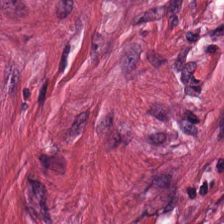Stain: hematoxylin and eosin.
Tile size: 224×224 px tile.
Tissue: desmoplastic stroma.
